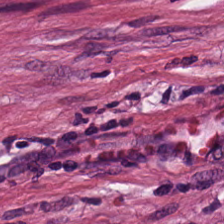H&E stain. WSI patch — Classification — desmoplastic stroma.
